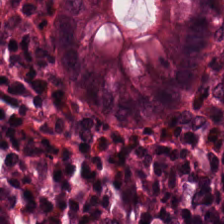Brightfield · H&E · formalin-fixed paraffin-embedded section — The tissue class is benign colonic mucosa.
